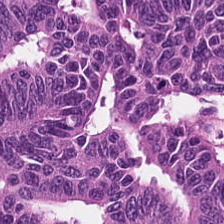Q: What tissue type is shown here?
A: This is adenocarcinoma.
